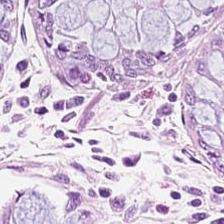Stain: H&E.
Predominant tissue: non-neoplastic colon mucosa.
